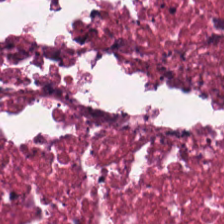Formalin-fixed paraffin-embedded section. Brightfield. H&E — Predominant tissue = necrotic debris.
